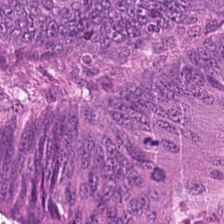Hematoxylin and eosin. Malignant epithelium.
